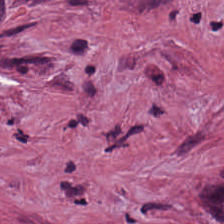This field is desmoplastic stroma.
